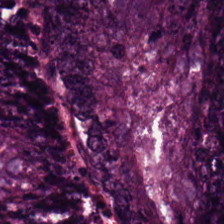Hematoxylin and eosin. 0.5 µm/px. FFPE. Predominant tissue — malignant epithelium.
